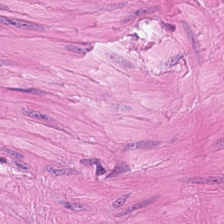Brightfield microscopy. H&E. Smooth muscle.
